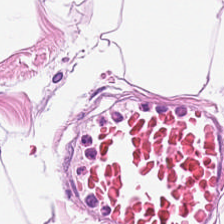Q: What does this patch show?
A: It is adipose.
